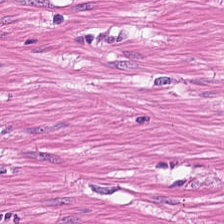H&E stain — This field is muscularis.
